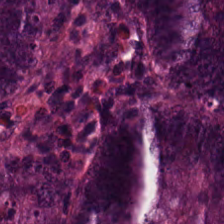224×224 px tile · H&E stain. Classification — malignant epithelium.
